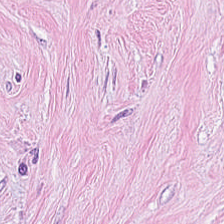H&E — Q: Classify this patch.
A: The field shows tumor stroma.
